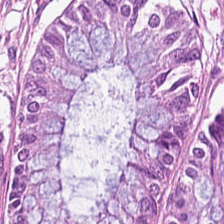Hematoxylin-and-eosin stained section. {"tissue_type": "normal colon mucosa"}
